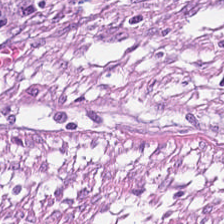224×224 px patch. H&E.
{"tissue_type": "cancer-associated stroma"}
